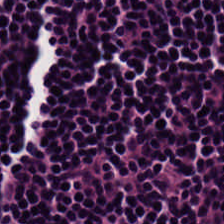Brightfield; formalin-fixed paraffin-embedded section; hematoxylin-and-eosin stained section.
Q: What is shown in this field?
A: The field shows lymphoid infiltrate.
